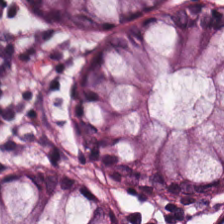Q: What does this patch show?
A: This is benign colonic mucosa.
